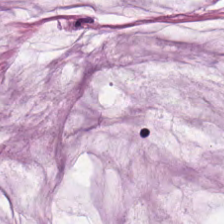224×224 px patch · H&E stain. This field is extracellular mucin.
